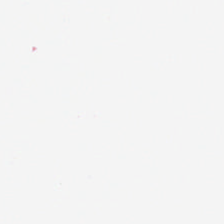H&E. 224×224 pixel tile — The field content is background (no tissue).
